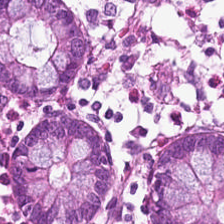Hematoxylin-and-eosin stained section.
This field is normal colonic mucosa.
